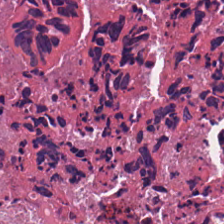Hematoxylin and eosin · 0.5 microns per pixel — Q: What type of tissue is this?
A: It is cellular debris.
